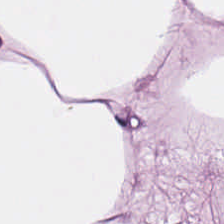0.5 µm per pixel; 224×224 px patch; hematoxylin-and-eosin stained section.
Classification — fat tissue.
